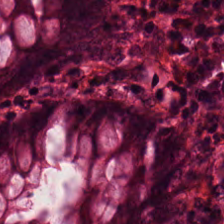Q: What does this patch show?
A: The field shows non-neoplastic colon mucosa.
